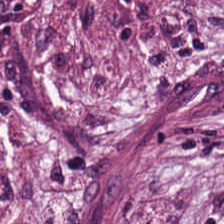H&E stain — Finding → tumor stroma.
